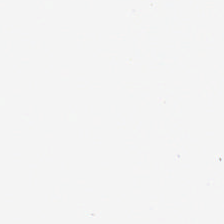224×224 px tile · hematoxylin and eosin. Background.
